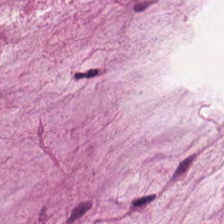Hematoxylin and eosin; 224×224 px tile — This field is extracellular mucin.
